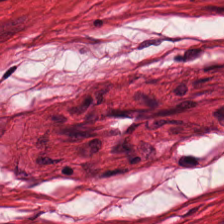Formalin-fixed paraffin-embedded section · H&E stain — Classification — smooth muscle.
